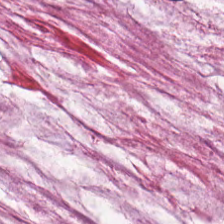H&E-stained tissue section.
Classification = mucin.
